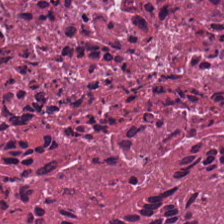Stain: H&E-stained tissue section.
Resolution: 0.5 microns per pixel.
Predominant tissue: cellular debris.
